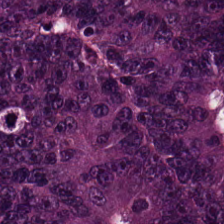Classification = malignant epithelium.
